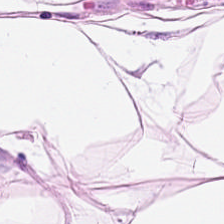H&E stain.
Finding — fat tissue.
